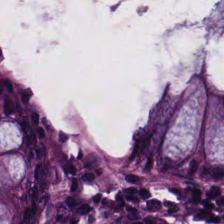H&E stain · FFPE tissue section · 224×224 pixel tile — Tissue type: normal colon mucosa.
